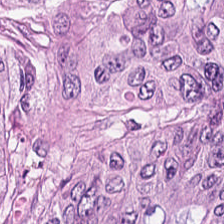The predominant tissue is malignant epithelium.
